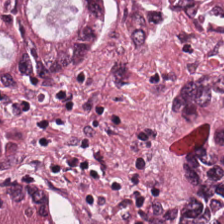224×224 pixel tile; hematoxylin-and-eosin stained section. This patch shows tumor epithelium.
